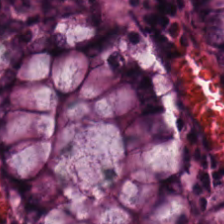Histology — benign colonic mucosa.
